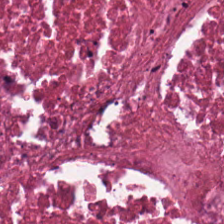This field is cellular debris.
